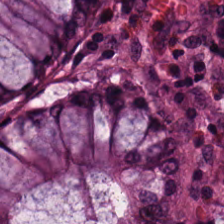Hematoxylin and eosin.
Finding → normal colonic mucosa.
